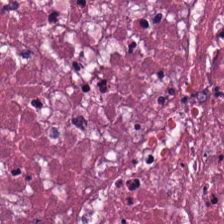H&E-stained tissue section — The predominant tissue is debris.
